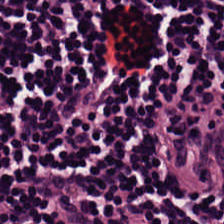Hematoxylin and eosin.
Showing lymphoid infiltrate.
